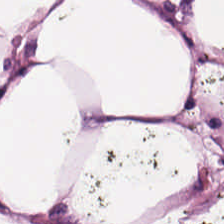H&E stain; 224×224 pixel tile; formalin-fixed paraffin-embedded section — Q: What does this patch show?
A: The field shows adipose.
